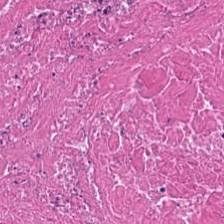Hematoxylin and eosin — Debris.
